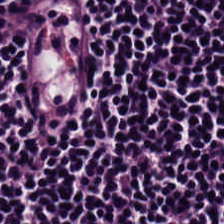H&E · FFPE tissue section · 224×224 px tile. Predominantly lymphocytes.
